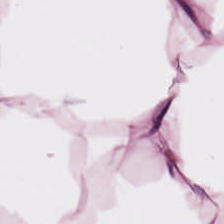Tissue = adipocytes.
